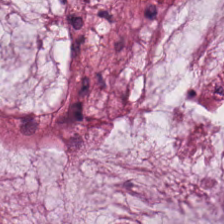0.5 µm/px · hematoxylin-and-eosin stained section · whole-slide-image patch — Classification = mucus.
